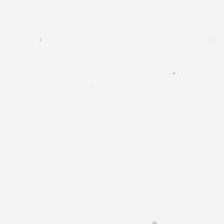Q: What does this patch show?
A: It is no tissue.
